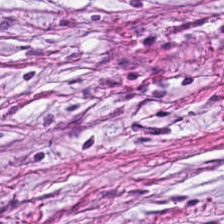Hematoxylin-and-eosin stained section. Brightfield. 0.5 microns per pixel — {"tissue_type": "cancer-associated stroma"}
